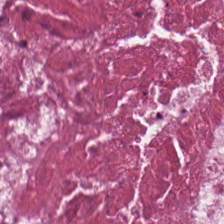Hematoxylin-and-eosin stained section.
The predominant tissue is debris.
